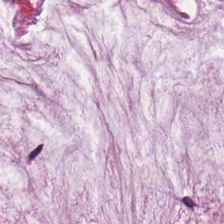H&E. Histology → mucin.
